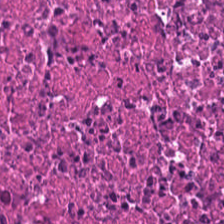Tissue class — necrotic debris.
